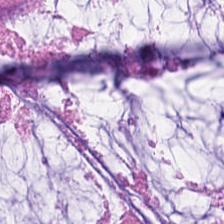H&E stain — Tissue type = extracellular mucin.
